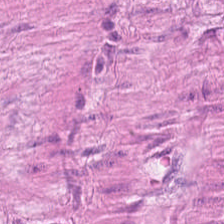Whole-slide-image patch · H&E.
Finding → smooth muscle.
